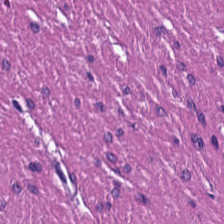H&E — Tissue type — muscularis.
